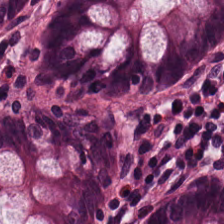WSI patch. Hematoxylin-and-eosin stained section — Tissue class — normal colonic mucosa.
